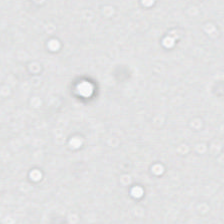H&E stain. Brightfield microscopy — Empty field — background (no tissue).
